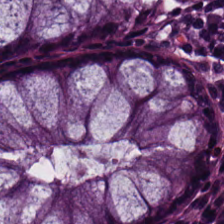H&E stain — Predominantly normal colonic mucosa.
